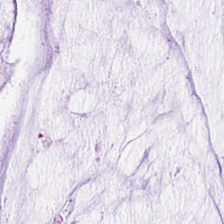Stain: H&E stain.
Preparation: formalin-fixed paraffin-embedded section.
Acquisition: whole-slide-image patch.
Predominant tissue: mucus.
